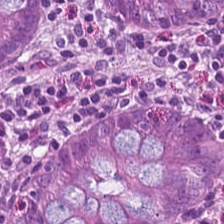Brightfield · FFPE tissue section · hematoxylin-and-eosin stained section — Showing normal colonic mucosa.
